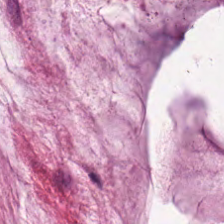Hematoxylin-and-eosin stained section — The tissue here is extracellular mucin.
